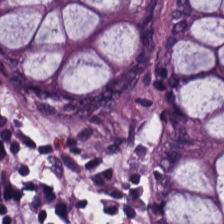H&E.
Tissue — benign colonic mucosa.
